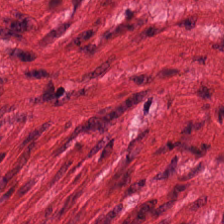H&E-stained tissue section.
{"tissue_type": "smooth muscle"}
